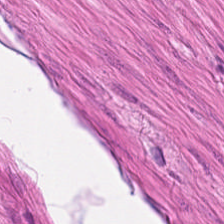Smooth-muscle tissue.
